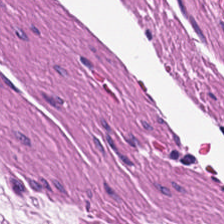H&E-stained tissue section — This patch shows smooth muscle.
